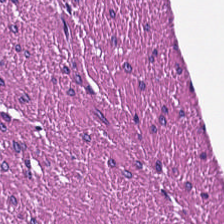This patch shows smooth-muscle tissue.
